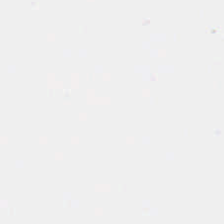H&E stain — Q: What is shown here?
A: It is background (no tissue).
